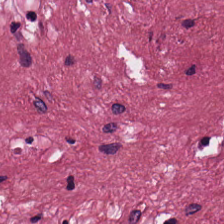Hematoxylin-and-eosin stained section. This patch shows tumor stroma.
